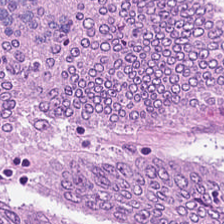H&E. Classification: adenocarcinoma.
